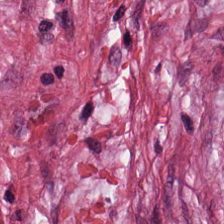H&E — tumor-associated stroma.
